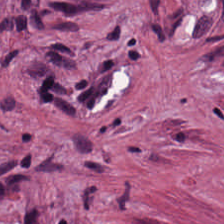Hematoxylin-and-eosin stained section.
Histology → tumor-associated stroma.
